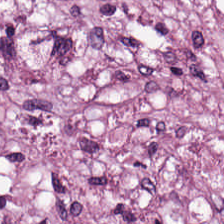Hematoxylin and eosin. Formalin-fixed paraffin-embedded section.
The tissue here is desmoplastic stroma.
